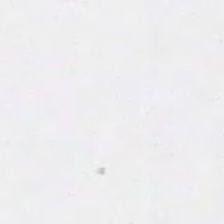Hematoxylin and eosin.
Q: What is shown here?
A: It is empty background.
